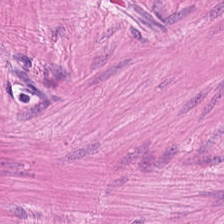H&E stain.
Q: What does this patch show?
A: This is smooth muscle.
